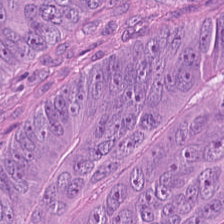Formalin-fixed paraffin-embedded section. H&E-stained tissue section.
Tumor epithelium.
